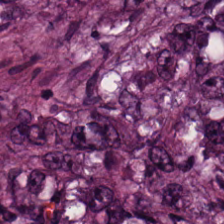H&E stain. Predominantly malignant epithelium.
